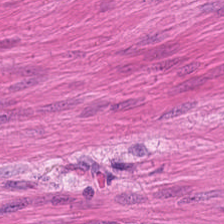Showing smooth muscle.
